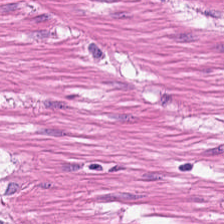H&E-stained tissue section. This field is smooth muscle.
